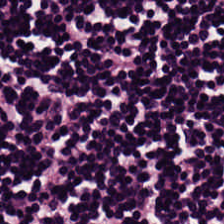H&E patch showing lymphocytic infiltrate.
